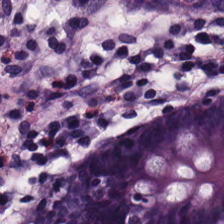H&E-stained tissue section.
This patch shows normal colonic mucosa.
